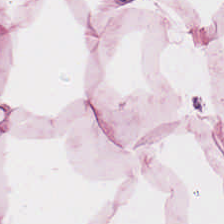H&E.
Showing adipocytes.
